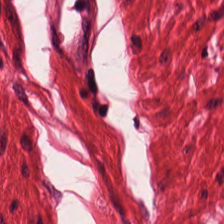H&E-stained tissue section · 0.5 µm per pixel · FFPE.
The tissue here is smooth muscle.
